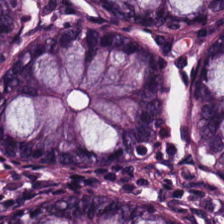224×224 pixel tile. H&E-stained tissue section. Showing benign colonic mucosa.
